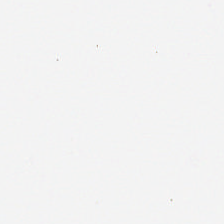H&E-stained tissue section. 224×224 pixel tile.
This field is background (no tissue).
